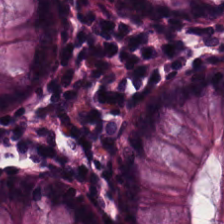Predominantly normal colon mucosa.
